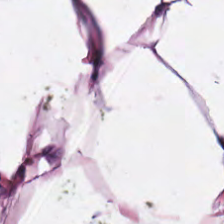Predominant tissue — adipose tissue.
